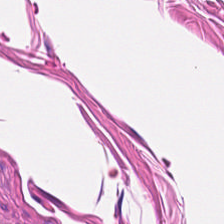Hematoxylin-and-eosin stained section — The tissue class is smooth muscle.
